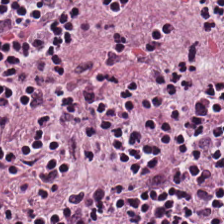0.5 microns per pixel. H&E — Histology → lymphocyte aggregate.
